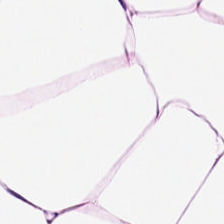Hematoxylin and eosin.
Adipose.
